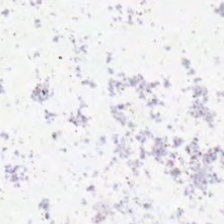H&E stain — Classification = no tissue.
